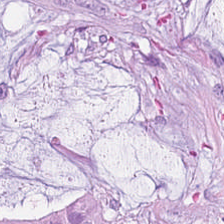Hematoxylin-and-eosin stained section. FFPE tissue section — The predominant tissue is mucin.
